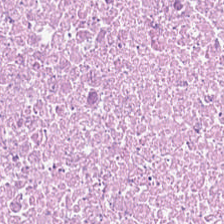Brightfield. H&E-stained tissue section — Tissue: debris.
